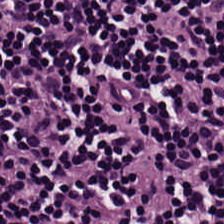Hematoxylin-and-eosin stained section. FFPE tissue section. 0.5 µm/px — This patch shows lymphocytes.
